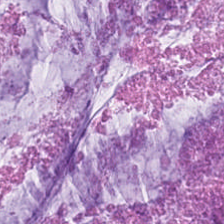Tissue class — mucin.
